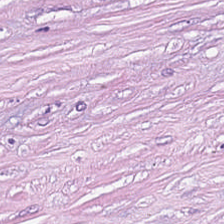H&E-stained tissue section — Tissue class = tumor stroma.
